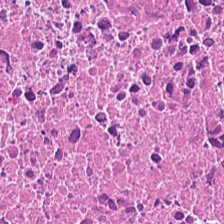H&E stain. FFPE. 0.5 µm per pixel. The predominant tissue is necrotic debris.
